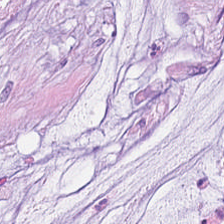H&E stain. WSI patch.
This field is extracellular mucin.
